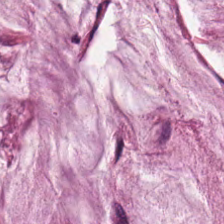This patch shows mucin.
